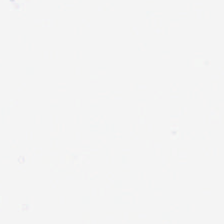Q: What does this patch show?
A: Background (no tissue).
